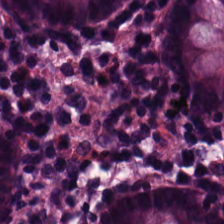Q: Classify this patch.
A: It is non-neoplastic colon mucosa.
